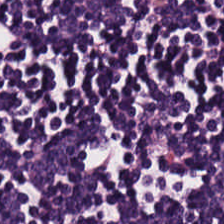Whole-slide-image patch · H&E-stained tissue section — The classification is lymphocytes.
